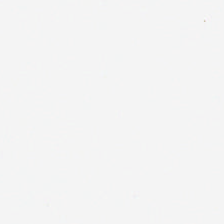224×224 pixel tile. Formalin-fixed paraffin-embedded section. H&E. Background — no tissue in this field.
